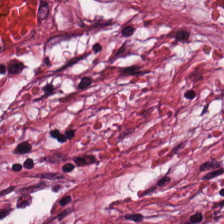H&E stain — Classification: tumor stroma.
